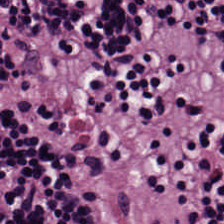Hematoxylin and eosin.
This patch shows lymphocytes.
